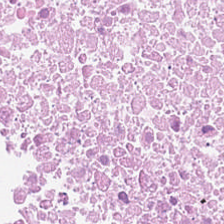FFPE tissue section · H&E stain · 224×224 px patch. This patch shows necrotic debris.
